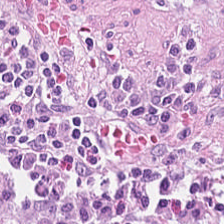Brightfield; hematoxylin-and-eosin stained section; formalin-fixed paraffin-embedded section — Classification — cancer-associated stroma.
